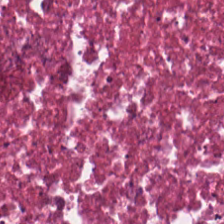FFPE tissue section. Hematoxylin-and-eosin stained section. Debris.
